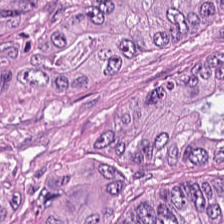Predominantly colorectal adenocarcinoma.
